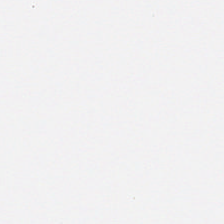H&E.
Q: What is shown here?
A: It is no tissue.
